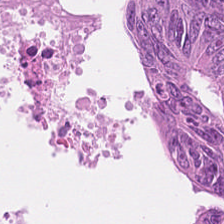Q: What tissue type is shown here?
A: This is colorectal adenocarcinoma epithelium.
